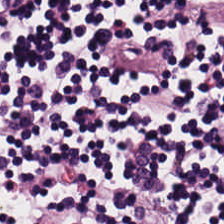H&E patch showing lymphocytic infiltrate.
